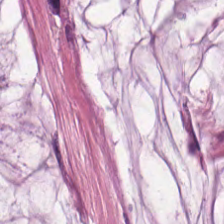H&E. The predominant tissue is mucin.
